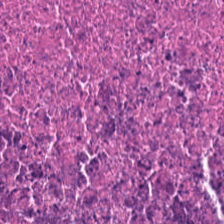Showing cellular debris.
